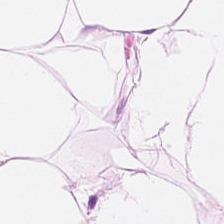20× equivalent magnification; H&E; formalin-fixed paraffin-embedded section. Tissue class — adipose tissue.
